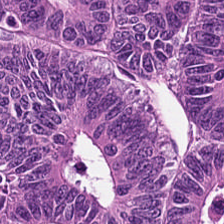{"tissue_type": "malignant epithelium"}
